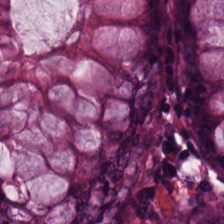224×224 px tile. H&E. FFPE.
Normal colonic mucosa.
